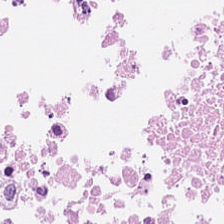Hematoxylin-and-eosin stained section.
Histology — debris.
